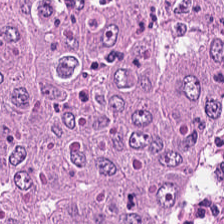224×224 px tile. H&E stain. Brightfield microscopy — The predominant tissue is colorectal adenocarcinoma epithelium.
